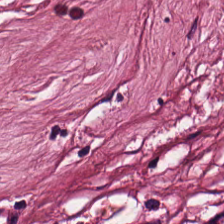H&E-stained tissue section · 224×224 pixel tile · 0.5 microns per pixel.
Tissue class = tumor-associated stroma.
